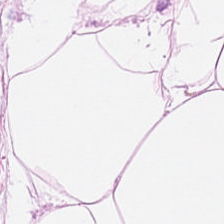Hematoxylin-and-eosin stained section · 224×224 px tile.
Q: What does this patch show?
A: This is adipose tissue.
